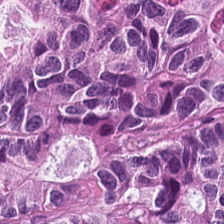H&E stain.
This field is tumor epithelium.
